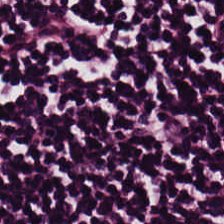Brightfield microscopy · hematoxylin-and-eosin stained section.
Lymphocyte aggregate.
